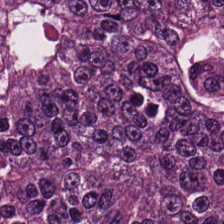H&E · 224×224 px patch.
Showing adenocarcinoma.
